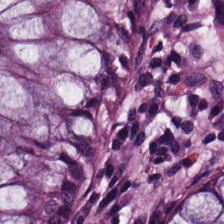224×224 px tile; 0.5 microns per pixel; hematoxylin and eosin — Histology → normal colonic mucosa.
